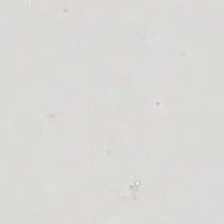{"content": "background (no tissue)"}
